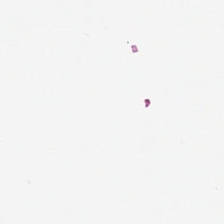Stain: hematoxylin-and-eosin stained section.
Preparation: FFPE.
Classification: background (no tissue).
